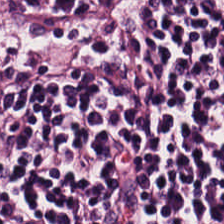Tissue class — lymphoid infiltrate.
